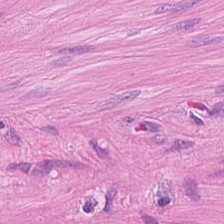H&E-stained section; the field shows smooth-muscle tissue.
